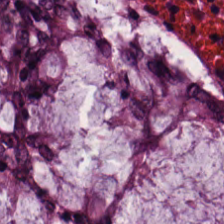Q: What is shown in this field?
A: Non-neoplastic colon mucosa.
